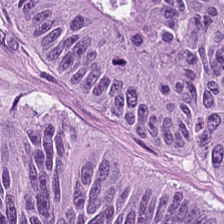H&E — colorectal adenocarcinoma epithelium.
